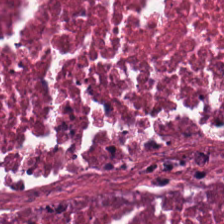H&E stain. Brightfield microscopy. The classification is cellular debris.
